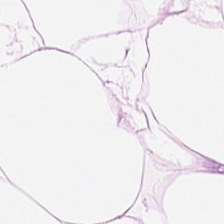H&E patch showing adipose tissue.
